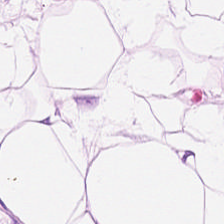H&E; 0.5 µm per pixel — This patch shows adipocytes.
